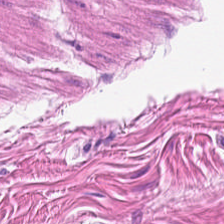H&E-stained tissue section · 224×224 pixel tile · 0.5 µm/px — Tissue — smooth-muscle tissue.
